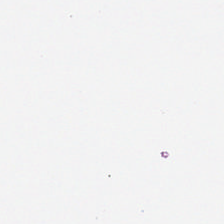H&E. 20× equivalent magnification — Content: background.
